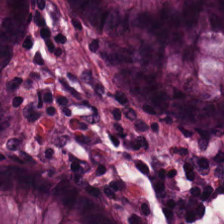Hematoxylin-and-eosin stained section — Q: What is shown here?
A: It is benign colonic mucosa.
